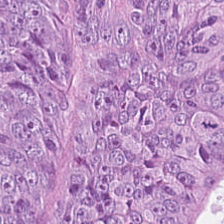Stain: hematoxylin-and-eosin stained section.
Preparation: FFPE tissue section.
Tissue: tumor epithelium.
